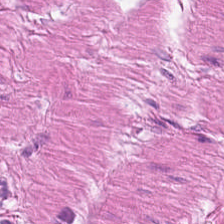Whole-slide-image patch. 224×224 pixel tile. Hematoxylin and eosin. Showing smooth muscle.
